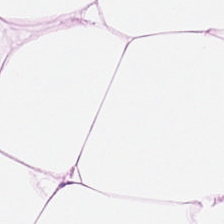Q: What does this patch show?
A: It is adipose tissue.
